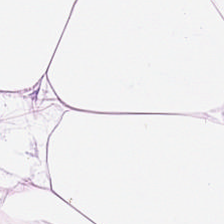This patch shows adipose tissue.
